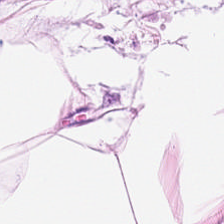The classification is adipose.
